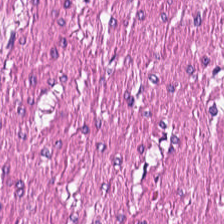Hematoxylin-and-eosin stained section; 224×224 px patch; FFPE. Predominantly smooth muscle.
